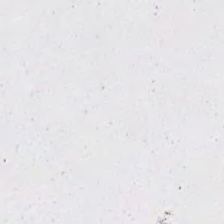Stain: H&E.
Content: empty background.
